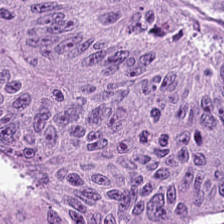Tissue class — tumor epithelium.
